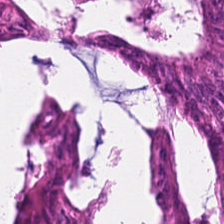H&E; brightfield microscopy; 224×224 px patch — Tissue: tumor epithelium.
